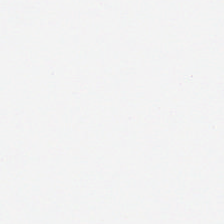Formalin-fixed paraffin-embedded section; hematoxylin-and-eosin stained section.
This field is background (no tissue).
